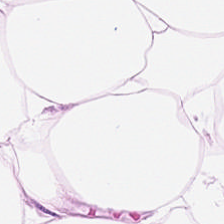H&E.
This patch shows adipose tissue.
